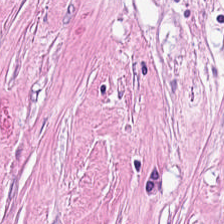Brightfield microscopy; 0.5 microns per pixel; H&E stain. Q: What tissue type is shown here?
A: The field shows cancer-associated stroma.
